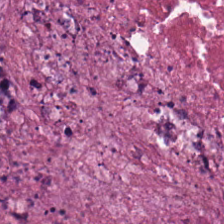Impression → necrotic debris.
